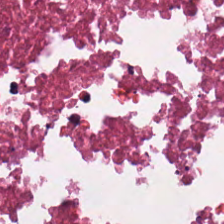Q: What is shown here?
A: The field shows debris.
